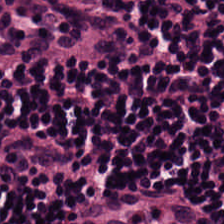Whole-slide-image patch. H&E stain. Histology → lymphocyte aggregate.
